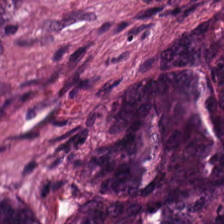Hematoxylin and eosin. Histology → colorectal adenocarcinoma epithelium.
